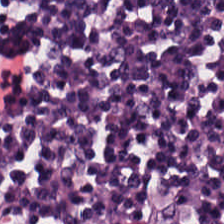H&E-stained tissue section — The predominant tissue is lymphocytic infiltrate.
